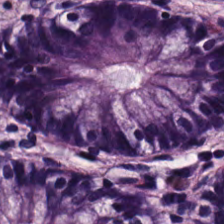Hematoxylin-and-eosin stained section · FFPE · 224×224 pixel tile. Tissue type: benign colonic mucosa.
